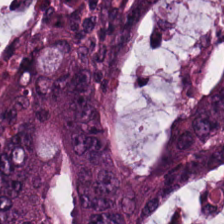Hematoxylin and eosin. FFPE tissue section.
{"tissue_type": "adenocarcinoma"}
